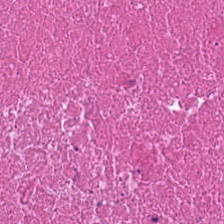Q: What type of tissue is this?
A: Debris.
